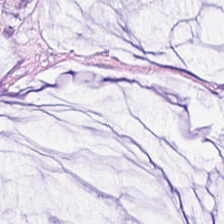H&E-stained tissue section.
The predominant tissue is mucus.
